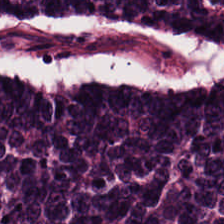Histology → tumor epithelium.
